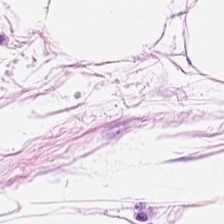Hematoxylin and eosin. 224×224 pixel tile.
Q: What is shown in this field?
A: The field shows adipose tissue.
